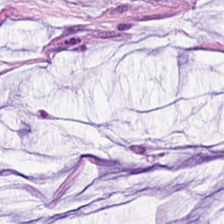Hematoxylin-and-eosin stained section. Brightfield microscopy. 224×224 px tile.
Tissue — mucin.
